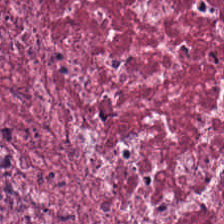Stain: hematoxylin and eosin.
Resolution: 20× equivalent magnification.
Acquisition: brightfield.
Predominant tissue: cancer-associated stroma.
